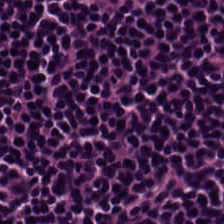H&E stain. {"tissue_type": "lymphocytic infiltrate"}
